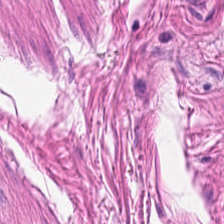WSI patch. H&E-stained tissue section. {"tissue_type": "smooth muscle"}
